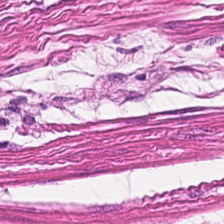224×224 pixel tile; H&E stain. Tissue = smooth-muscle tissue.
